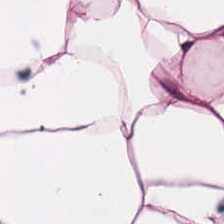H&E-stained tissue section.
This patch shows adipose.
